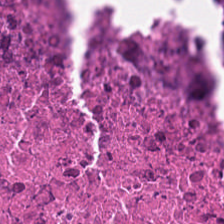H&E. Tissue type — debris.
